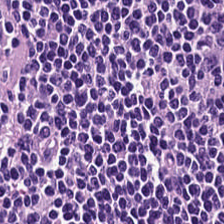0.5 microns per pixel. H&E-stained tissue section.
This field is lymphocyte aggregate.
